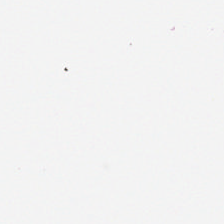Formalin-fixed paraffin-embedded section · hematoxylin-and-eosin stained section · 224×224 px tile.
Q: What is shown here?
A: It is background.
